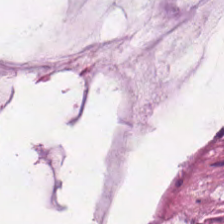H&E. {"tissue_type": "mucus"}
